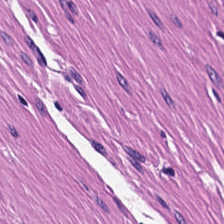Classification — muscularis.
